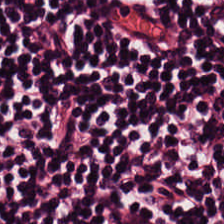Hematoxylin and eosin · whole-slide-image patch. This patch shows lymphoid infiltrate.
